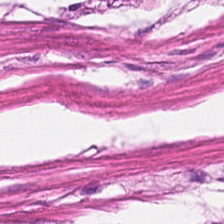H&E-stained tissue section — Q: What does this patch show?
A: The field shows smooth muscle.
